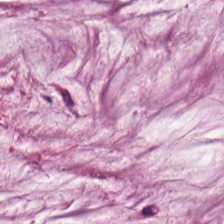224×224 px patch; H&E stain.
The tissue class is mucin.
